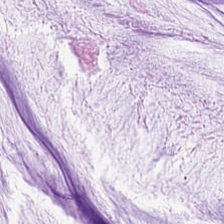H&E; brightfield.
The predominant tissue is mucus.
